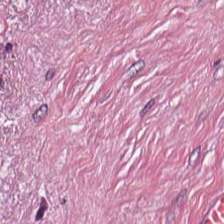FFPE. H&E stain. 20× equivalent magnification.
The predominant tissue is tumor-associated stroma.
